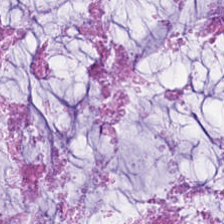H&E stain.
The predominant tissue is extracellular mucin.
